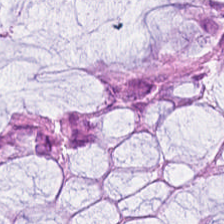Stain: hematoxylin and eosin.
Tissue class: normal colonic mucosa.
